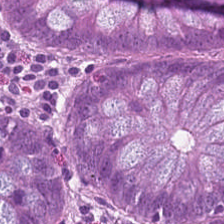Hematoxylin-and-eosin stained section; WSI patch. Tissue = non-neoplastic colon mucosa.
